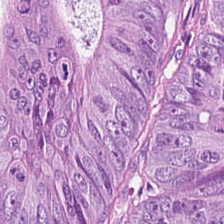WSI patch. Hematoxylin-and-eosin stained section. The tissue class is malignant epithelium.
